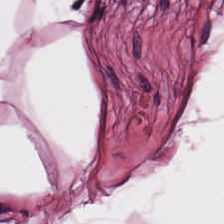Hematoxylin and eosin — Histology — fat tissue.
